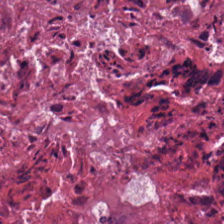Hematoxylin and eosin.
Predominantly necrotic debris.
